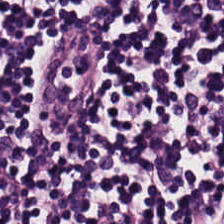Hematoxylin and eosin. Finding → lymphoid infiltrate.
